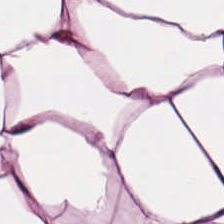Hematoxylin and eosin.
Predominantly adipocytes.
